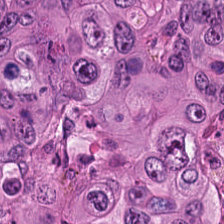Stain: H&E stain.
Tissue: malignant epithelium.
